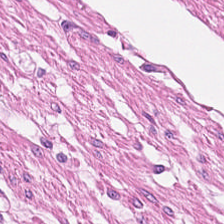Q: Identify the tissue.
A: It is smooth-muscle tissue.
